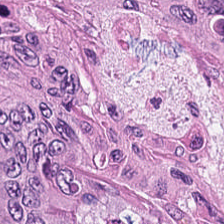Hematoxylin-and-eosin stained section.
Showing adenocarcinoma.
